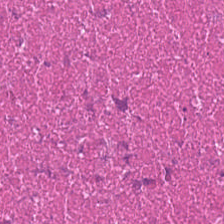H&E. Tissue type = debris.
